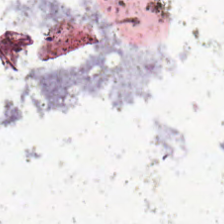Hematoxylin and eosin · 20× equivalent magnification. Q: What is shown in this field?
A: The field shows no tissue.
